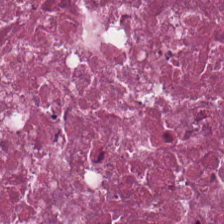224×224 px tile · H&E stain.
This field is debris.
